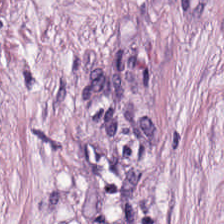Classification = desmoplastic stroma.
